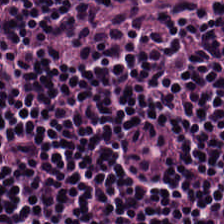Showing lymphocyte aggregate.
